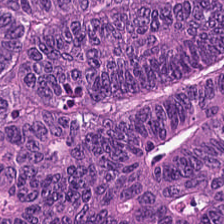Showing colorectal adenocarcinoma epithelium.
